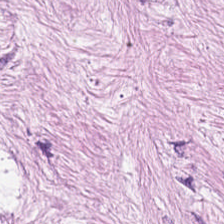Stain: H&E stain.
Tissue type: desmoplastic stroma.
